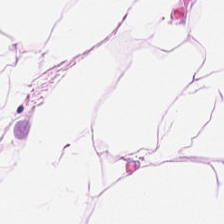Fat tissue.
